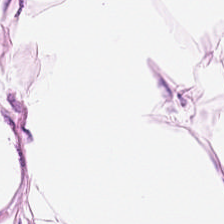Hematoxylin and eosin. Histology → adipocytes.
